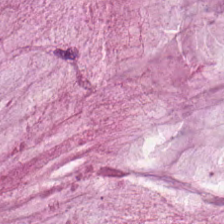The predominant tissue is mucin.
